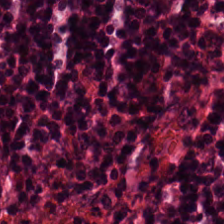0.5 µm per pixel · hematoxylin-and-eosin stained section.
Tissue = normal colon mucosa.
